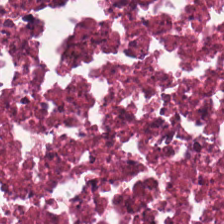H&E stain.
Impression — cellular debris.
